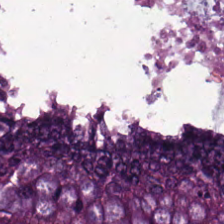Q: What tissue is shown?
A: This is tumor epithelium.
